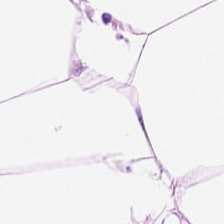224×224 px tile. H&E stain. Brightfield. Tissue — fat tissue.
